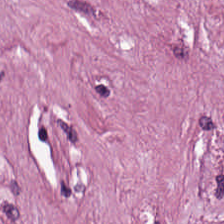{"tissue_type": "cancer-associated stroma"}
